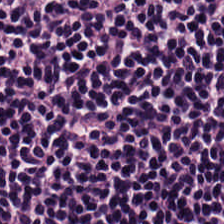Stain: H&E.
Preparation: FFPE.
Tissue class: lymphocyte aggregate.
